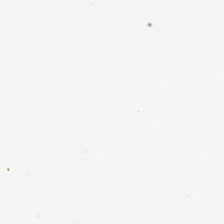FFPE tissue section · hematoxylin-and-eosin stained section · brightfield microscopy — The classification is background (no tissue).
